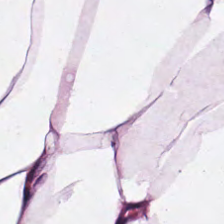FFPE tissue section; hematoxylin and eosin; 0.5 µm/px. The tissue is adipose tissue.
